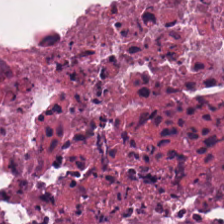H&E-stained tissue section showing debris.
